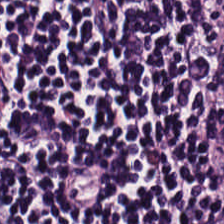Stain: H&E-stained tissue section.
Classification: lymphocytes.
